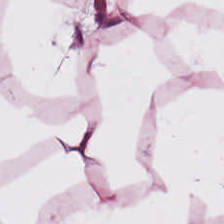H&E — The predominant tissue is adipose.
